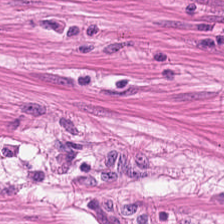H&E stain. Tissue = muscularis.
